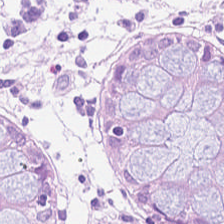FFPE tissue section. H&E. Histology — normal colonic mucosa.
